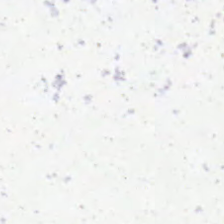H&E-stained tissue section. FFPE tissue section — Q: What is shown here?
A: It is empty background.
